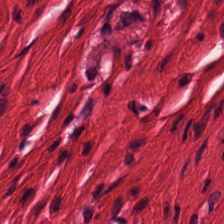Stain: H&E-stained tissue section.
Tissue type: smooth muscle.
